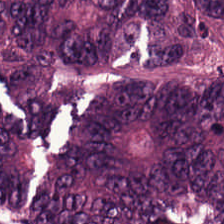Hematoxylin-and-eosin stained section. Whole-slide-image patch. 0.5 µm/px.
This field is tumor epithelium.
